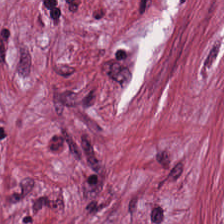H&E.
Q: Identify the tissue.
A: Tumor stroma.
